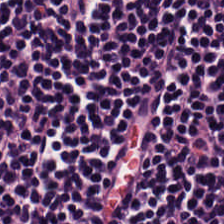Hematoxylin and eosin — {"tissue_type": "lymphocytes"}
